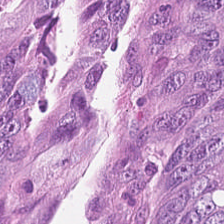Hematoxylin and eosin. Brightfield microscopy. Histology — colorectal adenocarcinoma epithelium.
